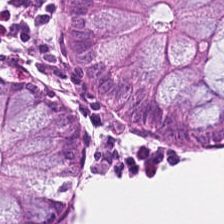H&E-stained tissue section.
Predominantly non-neoplastic colon mucosa.
